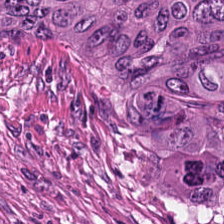Hematoxylin-and-eosin stained section — Tissue class — adenocarcinoma.
